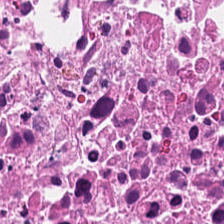224×224 px patch. H&E.
Tissue class: necrotic debris.
